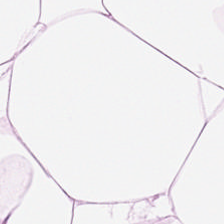WSI patch · H&E stain — This field is adipose tissue.
